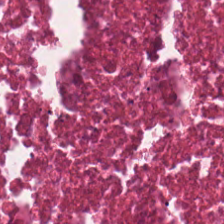H&E-stained tissue section.
Tissue type = debris.
